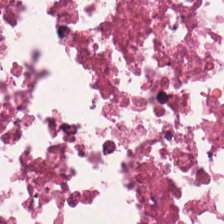H&E; brightfield microscopy. The tissue here is cellular debris.
